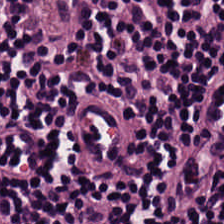H&E-stained tissue section.
The tissue type is lymphoid infiltrate.
